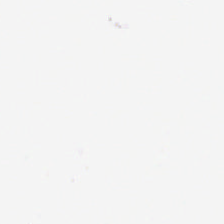Brightfield microscopy · H&E-stained tissue section. Field content = empty background.
